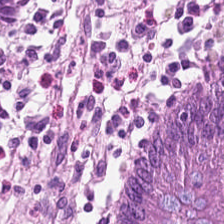H&E-stained tissue section · formalin-fixed paraffin-embedded section · 224×224 px tile.
{"tissue_type": "normal colonic mucosa"}
